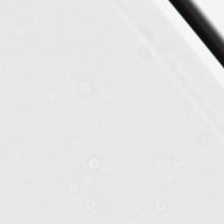H&E-stained tissue section.
Field content = background (no tissue).
